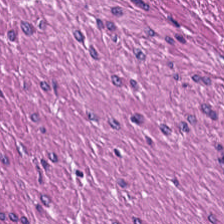Stain: H&E-stained tissue section.
Tissue: muscularis.
